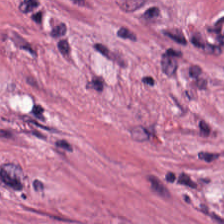The tissue type is tumor stroma.
